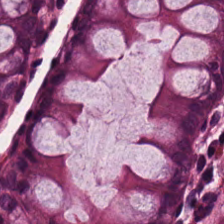Q: What type of tissue is this?
A: Non-neoplastic colon mucosa.
